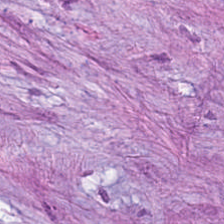H&E.
Showing cancer-associated stroma.
